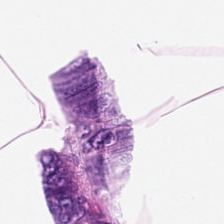H&E stain — Predominantly adipose tissue.
